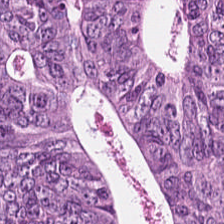H&E-stained tissue section. Formalin-fixed paraffin-embedded section — Impression — colorectal adenocarcinoma epithelium.
